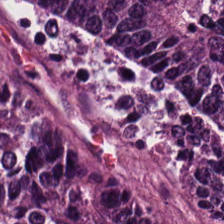H&E stain. {"tissue_type": "colorectal adenocarcinoma"}
